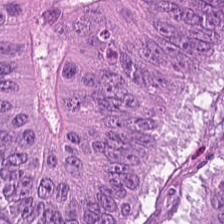H&E stain; 0.5 microns per pixel; FFPE tissue section. The predominant tissue is colorectal adenocarcinoma.
